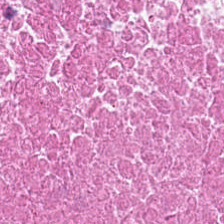H&E-stained tissue section — Predominantly debris.
